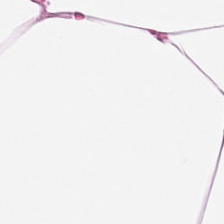0.5 µm per pixel · H&E · 224×224 px patch.
This field is fat tissue.
